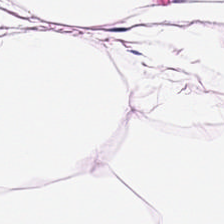H&E — Predominantly adipose.
